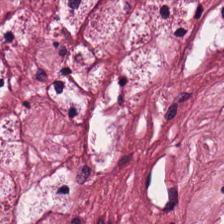H&E stain. The classification is desmoplastic stroma.
